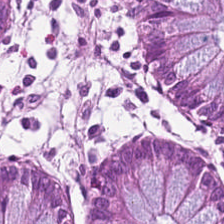H&E-stained tissue section. This patch shows normal colonic mucosa.
